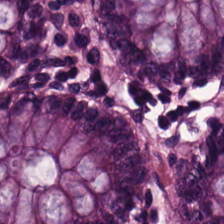H&E-stained tissue section.
Q: What is shown here?
A: The field shows normal colonic mucosa.
